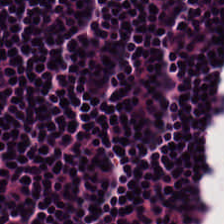Stain: H&E.
Predominant tissue: lymphocyte aggregate.
